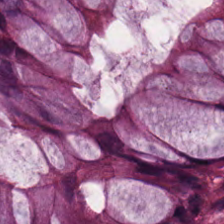The predominant tissue is non-neoplastic colon mucosa.
